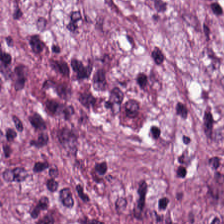Hematoxylin-and-eosin stained section. 224×224 px patch. Predominant tissue: cancer-associated stroma.
